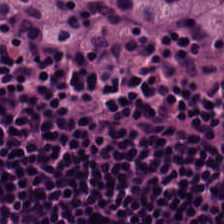Hematoxylin-and-eosin stained section. Formalin-fixed paraffin-embedded section.
{"tissue_type": "lymphocyte aggregate"}
